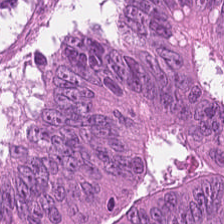FFPE. 20× equivalent magnification. H&E. Q: What tissue type is shown here?
A: Colorectal adenocarcinoma.
